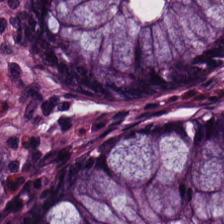Q: What tissue is shown?
A: This is normal colon mucosa.
